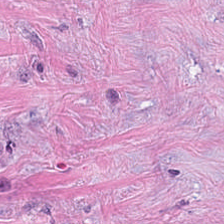H&E-stained tissue section. Predominantly tumor stroma.
